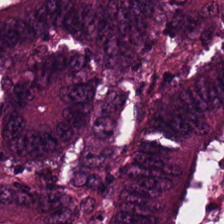The tissue is colorectal adenocarcinoma.
